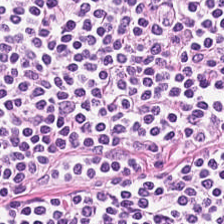FFPE tissue section. H&E stain.
The predominant tissue is lymphocytic infiltrate.
